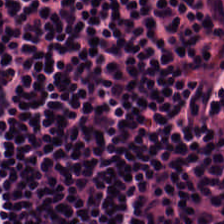FFPE; H&E; brightfield. The classification is lymphocytes.
